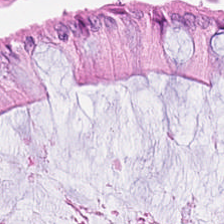Impression → non-neoplastic colon mucosa.
